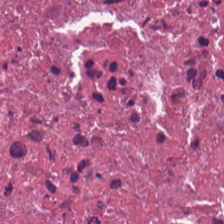The tissue is cellular debris.
